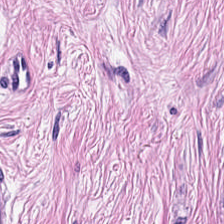Classification: tumor-associated stroma.
